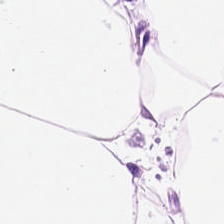H&E stain; brightfield microscopy — Classification: fat tissue.
